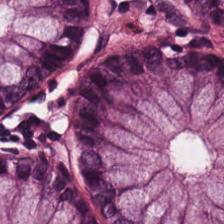H&E-stained tissue section; FFPE.
Tissue type — benign colonic mucosa.
